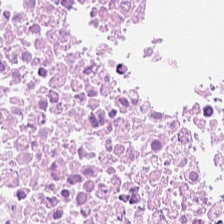Hematoxylin and eosin. Tissue class: debris.
